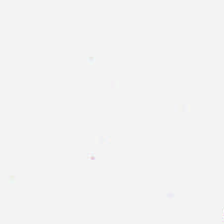Background — no tissue in this field.
